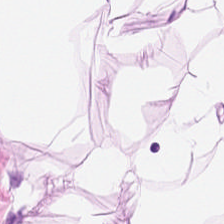Tissue type = adipose tissue.
